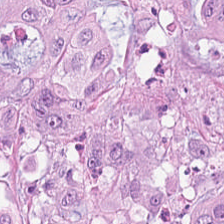H&E stain.
Showing colorectal adenocarcinoma epithelium.
